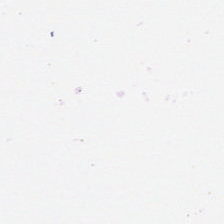H&E stain. Classification — background (no tissue).
